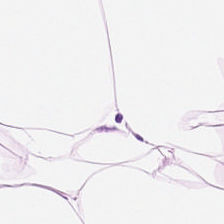WSI patch · formalin-fixed paraffin-embedded section · hematoxylin and eosin. Q: What is the predominant tissue type?
A: It is adipose.
